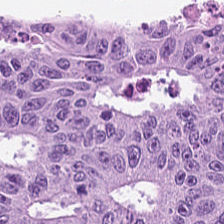Hematoxylin and eosin. Q: What does this patch show?
A: The field shows malignant epithelium.
